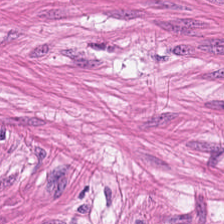H&E-stained tissue section · 0.5 µm per pixel · brightfield. This patch shows muscularis.
